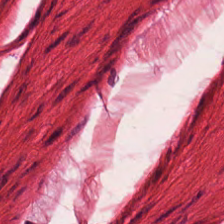Stain: H&E.
Resolution: 0.5 µm/px.
Predominant tissue: smooth-muscle tissue.
